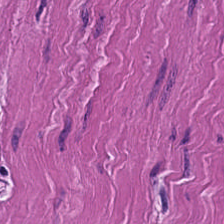H&E stain. Classification: smooth-muscle tissue.
